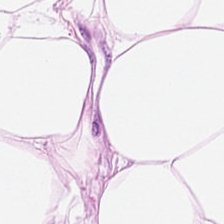H&E-stained tissue section — Q: What is shown in this field?
A: Fat tissue.
